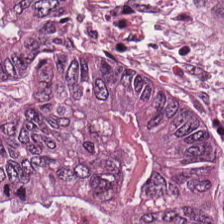Q: What tissue is shown?
A: Tumor epithelium.
